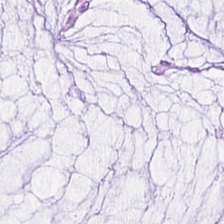H&E. WSI patch — Classification — extracellular mucin.
